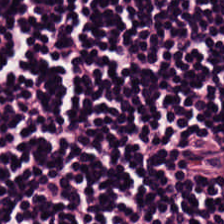H&E. Tissue type: lymphoid infiltrate.
